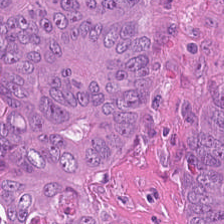H&E-stained tissue section — Histology → malignant epithelium.
